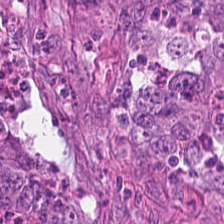Q: What is shown here?
A: This is adenocarcinoma.
